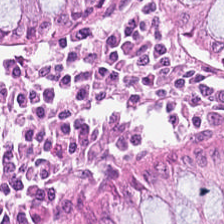Hematoxylin-and-eosin stained section — The tissue class is normal colonic mucosa.
